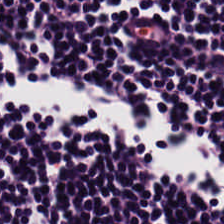H&E stain. This patch shows lymphoid infiltrate.
